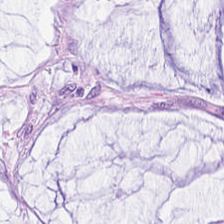224×224 px tile; WSI patch; H&E stain. Mucus.
